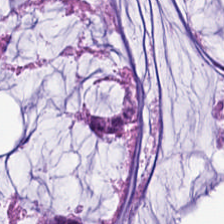Hematoxylin and eosin; 224×224 px patch.
Tissue = mucin.
